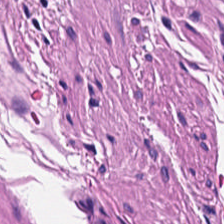Hematoxylin-and-eosin stained section — Tissue class = smooth muscle.
